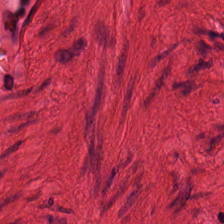Whole-slide-image patch. 0.5 µm per pixel. H&E-stained tissue section.
Predominantly smooth muscle.
